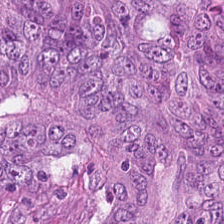H&E-stained tissue section showing adenocarcinoma.
